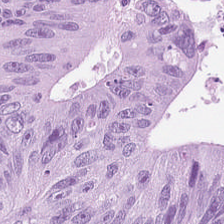H&E stain · formalin-fixed paraffin-embedded section · brightfield. Q: Identify the tissue.
A: It is adenocarcinoma.
